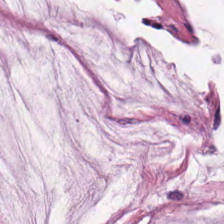Hematoxylin-and-eosin stained section — The tissue class is mucus.
